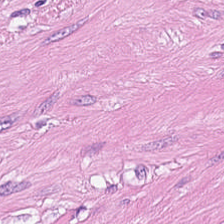Q: Identify the tissue.
A: It is muscularis.
